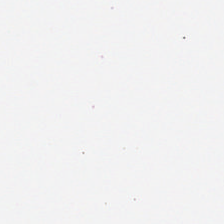Hematoxylin and eosin. Background — no tissue in this field.
